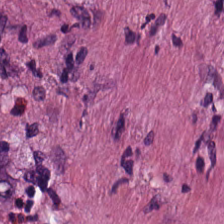H&E stain. Tissue — tumor-associated stroma.
